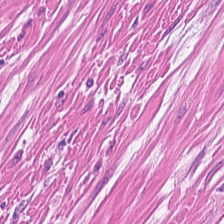H&E.
Tissue type: smooth muscle.
